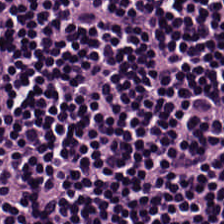Stain: H&E.
Predominant tissue: lymphocyte aggregate.
